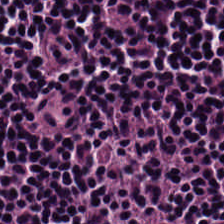224×224 px tile. Hematoxylin-and-eosin stained section. 0.5 µm per pixel.
Lymphocytic infiltrate.
